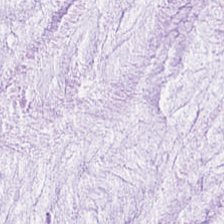Hematoxylin and eosin — Predominant tissue = extracellular mucin.
